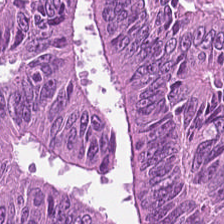H&E-stained tissue section — Impression — adenocarcinoma.
